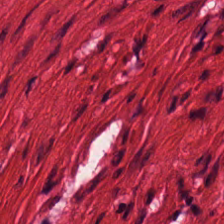H&E · 0.5 microns per pixel · formalin-fixed paraffin-embedded section.
Q: Identify the tissue.
A: This is muscularis.
